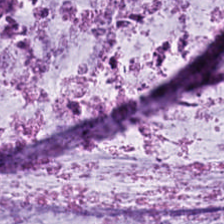H&E-stained tissue section. Brightfield — Predominantly mucin.
